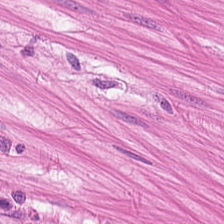Whole-slide-image patch; 224×224 px patch; H&E stain. Q: What is the predominant tissue type?
A: Smooth muscle.
